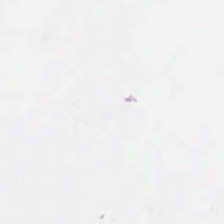H&E — Histology — background (no tissue).
